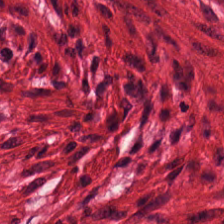Whole-slide-image patch. H&E. 0.5 µm/px. This field is muscularis.
